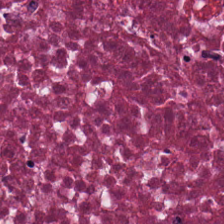Classification — necrotic debris.
